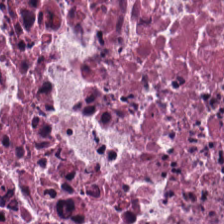H&E. Histology → debris.
